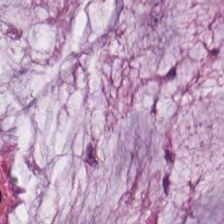Impression — mucin.
